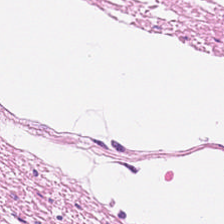FFPE; H&E — Q: What tissue is shown?
A: It is smooth-muscle tissue.
